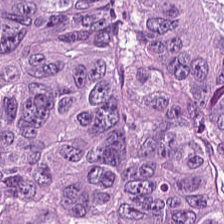Stain: H&E stain.
Tissue type: adenocarcinoma.
